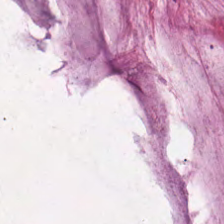Hematoxylin-and-eosin section: extracellular mucin.
